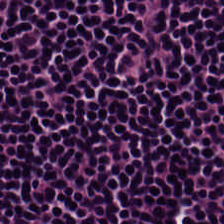Hematoxylin and eosin — This field is lymphoid infiltrate.
